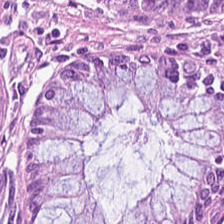H&E stain. Q: What tissue is shown?
A: This is non-neoplastic colon mucosa.
